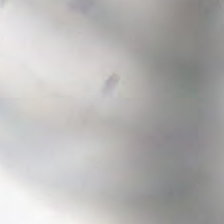H&E stain.
Empty background.
